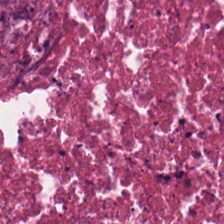Hematoxylin-and-eosin stained section.
The tissue here is necrotic debris.
